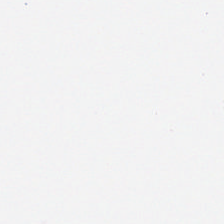Hematoxylin and eosin. 0.5 microns per pixel. FFPE tissue section — {"content": "background"}
